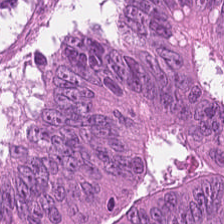0.5 µm/px; whole-slide-image patch; H&E — Classification: colorectal adenocarcinoma epithelium.
